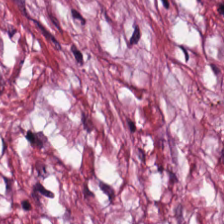This field is tumor stroma.
